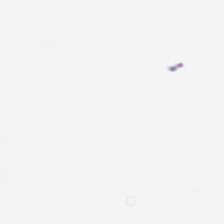H&E-stained tissue section. This patch shows no tissue.
